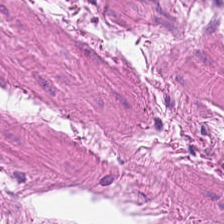Predominant tissue: smooth muscle.
